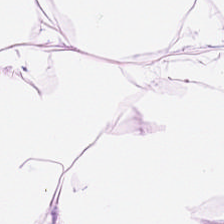Stain: hematoxylin-and-eosin stained section.
Acquisition: WSI patch.
Resolution: 0.5 microns per pixel.
Tissue class: fat tissue.
